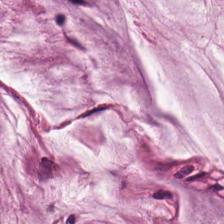This field is mucus.
